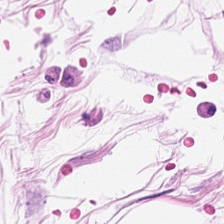The predominant tissue is adipose.
